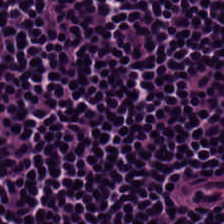224×224 px patch; brightfield; hematoxylin-and-eosin stained section. Q: Classify this patch.
A: Lymphocytes.
